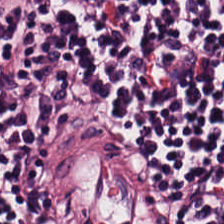H&E-stained tissue section · 224×224 px patch · formalin-fixed paraffin-embedded section.
The tissue here is lymphoid infiltrate.
